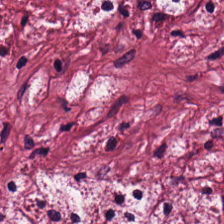FFPE tissue section; H&E stain; 224×224 px tile. The predominant tissue is cancer-associated stroma.
